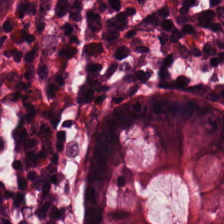Tissue = non-neoplastic colon mucosa.
